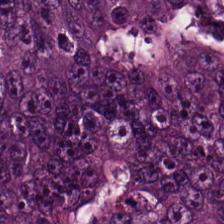Hematoxylin-and-eosin stained section — Q: What does this patch show?
A: The field shows colorectal adenocarcinoma.
